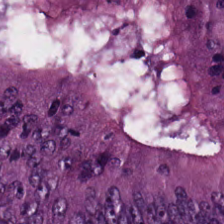H&E — This field is adenocarcinoma.
